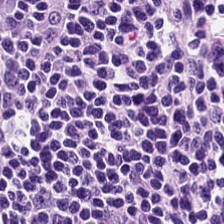Hematoxylin and eosin.
Impression — lymphocyte aggregate.
